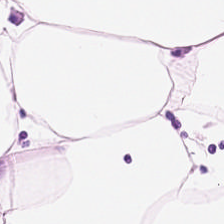H&E — Q: What type of tissue is this?
A: It is fat tissue.
